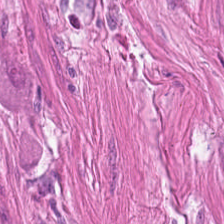FFPE tissue section · 20× equivalent magnification · hematoxylin-and-eosin stained section. Showing smooth-muscle tissue.
